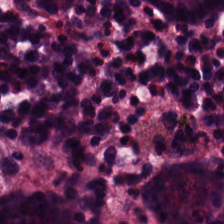Stain: hematoxylin-and-eosin stained section.
Resolution: 0.5 µm per pixel.
Tissue: normal colonic mucosa.
